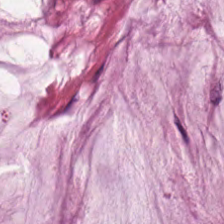Formalin-fixed paraffin-embedded section · hematoxylin-and-eosin stained section.
{"tissue_type": "extracellular mucin"}
